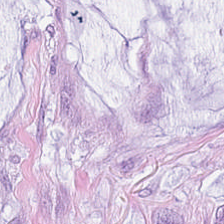H&E stain. Formalin-fixed paraffin-embedded section. 20× equivalent magnification.
Predominantly mucus.
